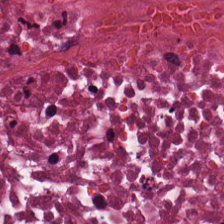Hematoxylin-and-eosin stained section. WSI patch. FFPE tissue section — The classification is necrotic debris.
